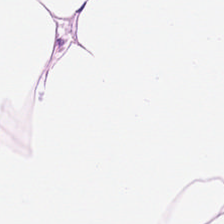Stain: H&E stain.
Classification: adipose.
